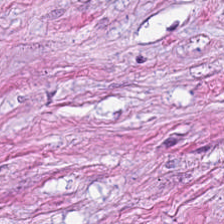Stain: H&E.
Classification: tumor stroma.
